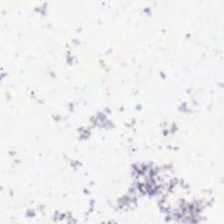Whole-slide-image patch; H&E.
Field content — background (no tissue).
